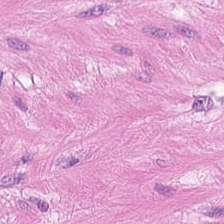H&E · FFPE tissue section. Smooth-muscle tissue.
